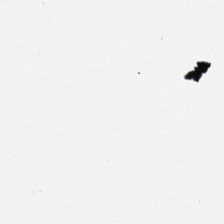The content is background.
